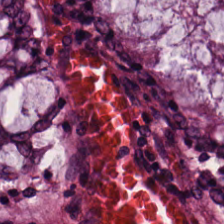224×224 px tile. WSI patch. H&E stain.
Q: What tissue is shown?
A: Non-neoplastic colon mucosa.
